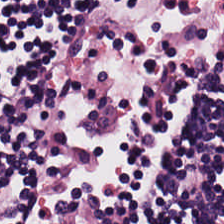Stain: H&E stain.
Resolution: 20× equivalent magnification.
Tile size: 224×224 pixel tile.
Tissue type: lymphocyte aggregate.
